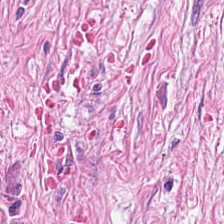Hematoxylin-and-eosin stained section — Tissue = cancer-associated stroma.
